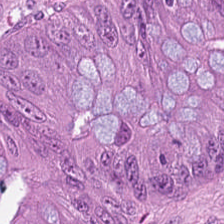Hematoxylin-and-eosin stained section — Tissue type — adenocarcinoma.
